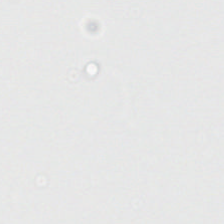224×224 px patch. Hematoxylin and eosin.
No tissue present; background only.
